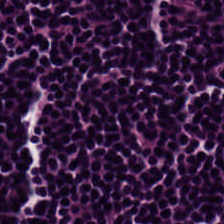Hematoxylin and eosin. Brightfield microscopy. This patch shows lymphocyte aggregate.
